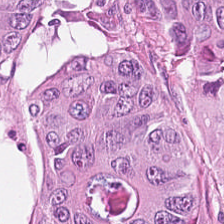Stain: hematoxylin-and-eosin stained section.
Acquisition: WSI patch.
Tissue class: malignant epithelium.
